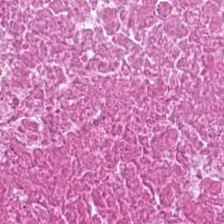Hematoxylin-and-eosin stained section.
Impression → debris.
